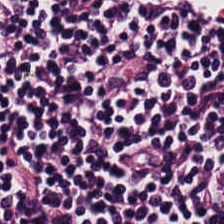0.5 µm/px · H&E · 224×224 pixel tile — {"tissue_type": "lymphocyte aggregate"}
